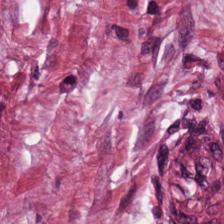FFPE; H&E-stained tissue section; brightfield. Predominantly tumor stroma.
